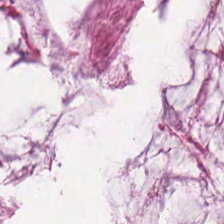Hematoxylin-and-eosin stained section; 224×224 px patch; formalin-fixed paraffin-embedded section. Tissue = mucin.
